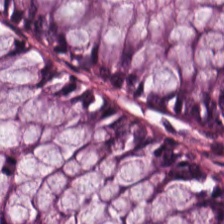H&E stain. Tissue class — non-neoplastic colon mucosa.
